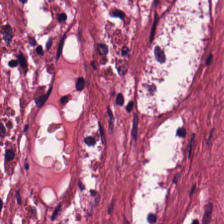Hematoxylin-and-eosin stained section.
Q: What tissue is shown?
A: Tumor-associated stroma.
